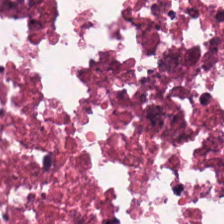Hematoxylin and eosin; FFPE; 0.5 µm per pixel. Showing debris.
